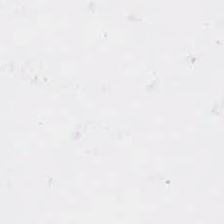Whole-slide-image patch · H&E-stained tissue section · 224×224 px patch. This patch shows empty background.
